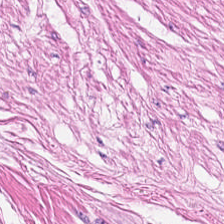H&E · 224×224 px tile.
Showing smooth muscle.
